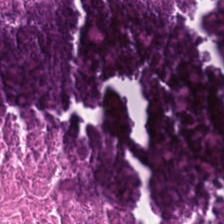Stain: H&E-stained tissue section.
Tissue: necrotic debris.
